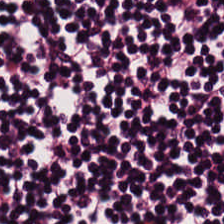20× equivalent magnification · hematoxylin-and-eosin stained section. The tissue here is lymphocyte aggregate.
